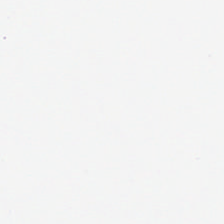Hematoxylin and eosin.
Content = empty background.
